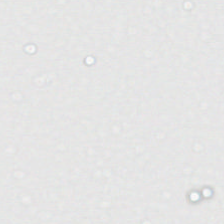Stain: hematoxylin-and-eosin stained section.
Tile size: 224×224 px patch.
Classification: background (no tissue).
